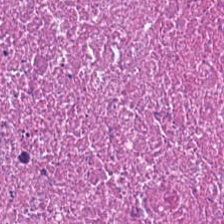Stain: hematoxylin and eosin.
Acquisition: brightfield.
Tile size: 224×224 px tile.
Tissue type: cellular debris.
